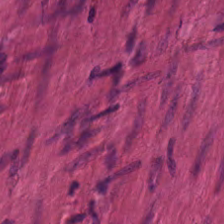H&E stain · 0.5 microns per pixel — Muscularis.
